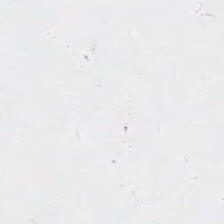Hematoxylin-and-eosin stained section — Q: What is shown here?
A: It is empty background.
